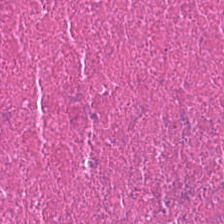Stain: H&E stain.
Preparation: FFPE tissue section.
Tile size: 224×224 pixel tile.
Tissue: necrotic debris.
